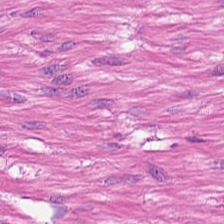H&E stain.
Q: Classify this patch.
A: Muscularis.
